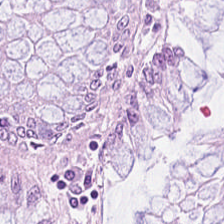Q: Identify the tissue.
A: This is normal colonic mucosa.
